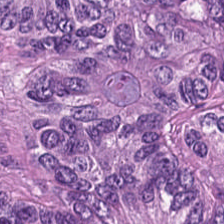H&E stain.
This field is tumor epithelium.
